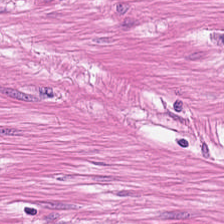20× equivalent magnification · H&E.
This field is smooth muscle.
